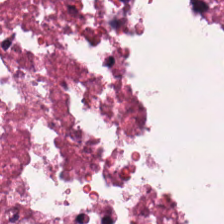Hematoxylin and eosin · brightfield. {"tissue_type": "necrotic debris"}
